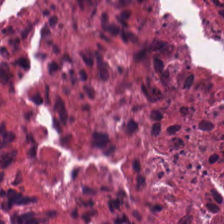Hematoxylin-and-eosin stained section.
This field is cellular debris.
